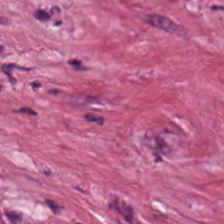Stain: H&E-stained tissue section.
Tissue: cancer-associated stroma.
